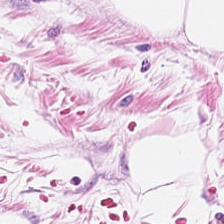0.5 µm per pixel. Hematoxylin and eosin — Tissue type: adipose tissue.
